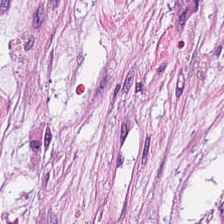H&E — Finding → cancer-associated stroma.
